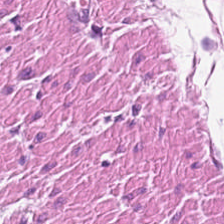Stain: H&E-stained tissue section.
Tissue: muscularis.
